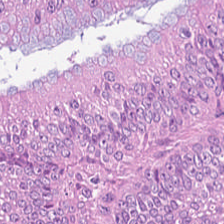This field is colorectal adenocarcinoma epithelium.
